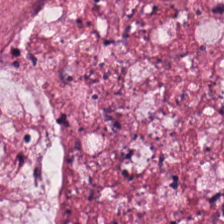224×224 px tile; WSI patch; hematoxylin and eosin.
Tissue type: mucus.
